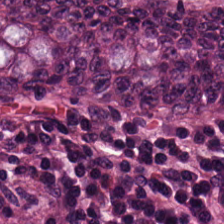0.5 µm per pixel. Hematoxylin and eosin — Predominant tissue — normal colon mucosa.
